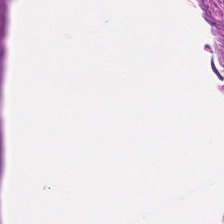Hematoxylin-and-eosin section: smooth-muscle tissue.
